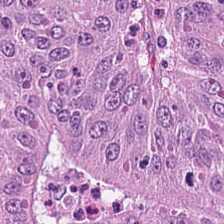Finding → adenocarcinoma.
